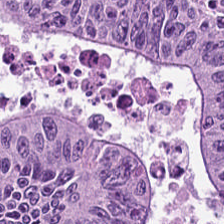H&E-stained tissue section showing tumor epithelium.
